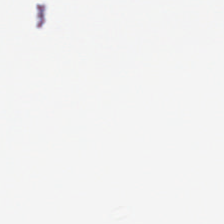H&E-stained tissue section — Q: What does this patch show?
A: The field shows background (no tissue).
